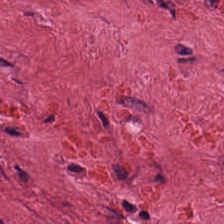Impression → tumor stroma.
